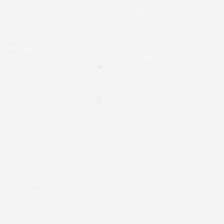Whole-slide-image patch. H&E stain. FFPE tissue section.
This patch shows background.
